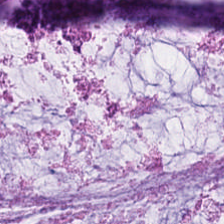H&E stain; 224×224 px tile; whole-slide-image patch. Impression → mucus.
